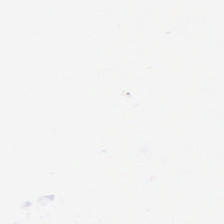Formalin-fixed paraffin-embedded section. Hematoxylin-and-eosin stained section. WSI patch.
Background.
